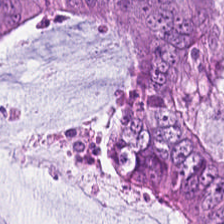H&E-stained tissue section. FFPE tissue section. Predominant tissue — colorectal adenocarcinoma epithelium.
